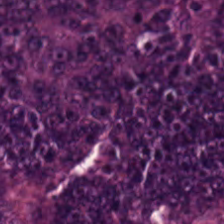224×224 px tile · H&E — Tissue class — colorectal adenocarcinoma epithelium.
